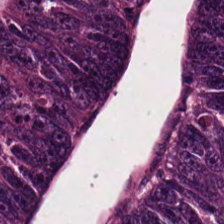Predominant tissue — colorectal adenocarcinoma epithelium.
